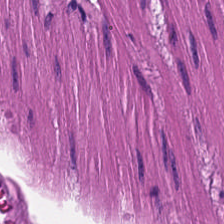Hematoxylin and eosin; brightfield microscopy.
Tissue type: muscularis.
